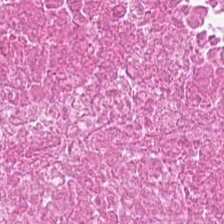Hematoxylin and eosin.
Showing cellular debris.
